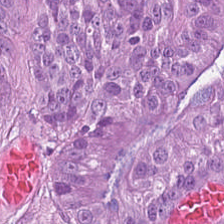0.5 µm per pixel · H&E. The classification is colorectal adenocarcinoma.
